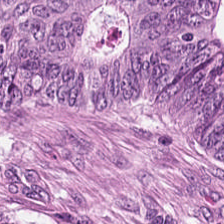Stain: hematoxylin-and-eosin stained section.
Tile size: 224×224 px patch.
Acquisition: WSI patch.
Predominant tissue: colorectal adenocarcinoma epithelium.
